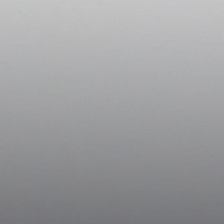H&E stain — Q: What is shown in this field?
A: This is empty background.
